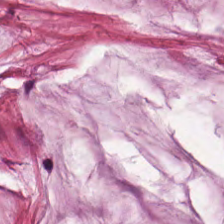Brightfield. 224×224 px tile. H&E stain — The tissue type is extracellular mucin.
